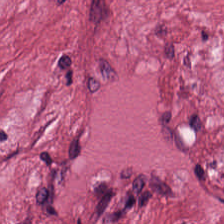H&E-stained tissue section. Classification — desmoplastic stroma.
